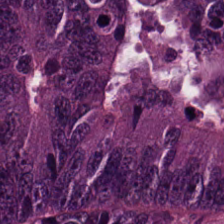Stain: H&E.
Tissue type: tumor epithelium.
